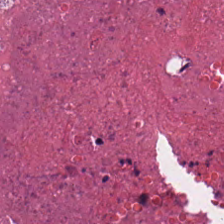H&E · 0.5 µm/px · brightfield microscopy — Q: What type of tissue is this?
A: This is debris.
